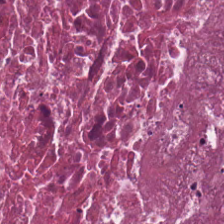Stain: hematoxylin and eosin.
Classification: debris.
